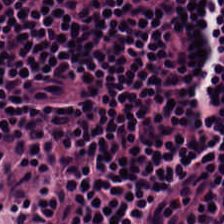H&E — Showing lymphoid infiltrate.
